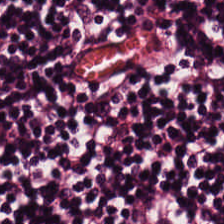Hematoxylin and eosin — Predominantly lymphocyte aggregate.
